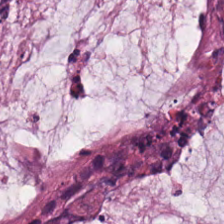H&E stain.
Q: What tissue is shown?
A: The field shows extracellular mucin.
